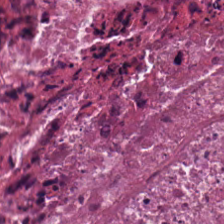Predominant tissue: necrotic debris.
